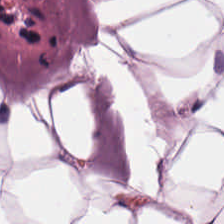Hematoxylin-and-eosin stained section. Showing adipose.
